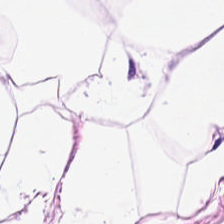H&E-stained section; the field shows adipocytes.
